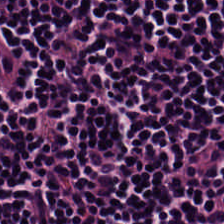Hematoxylin-and-eosin section: lymphocyte aggregate.
